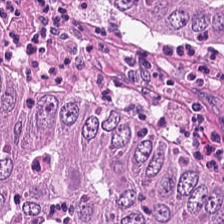Q: What does this patch show?
A: It is colorectal adenocarcinoma epithelium.
